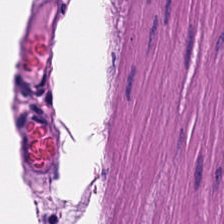224×224 pixel tile; H&E.
Q: What is shown in this field?
A: It is smooth muscle.
